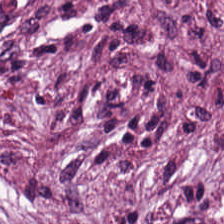The tissue type is tumor-associated stroma.
